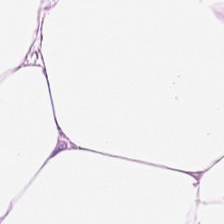Q: What is shown in this field?
A: Adipose.
